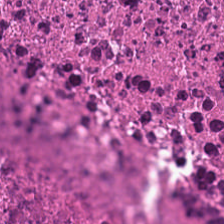H&E.
{"tissue_type": "cellular debris"}
